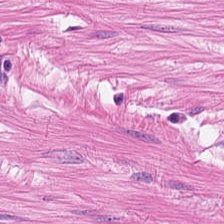H&E stain; 0.5 µm per pixel. Q: What is the predominant tissue type?
A: The field shows smooth muscle.
